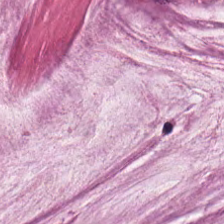H&E. Predominantly mucus.
